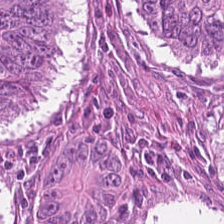FFPE. H&E stain — Finding → tumor epithelium.
